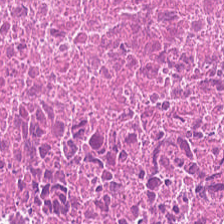Hematoxylin and eosin. 20× equivalent magnification. Debris.
